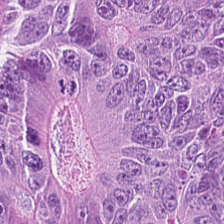0.5 microns per pixel · H&E — The tissue here is colorectal adenocarcinoma epithelium.
